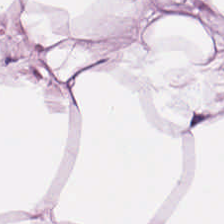224×224 px patch; hematoxylin and eosin.
Predominant tissue = adipose tissue.
